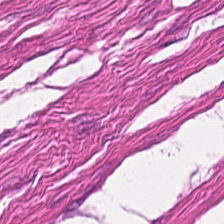Finding → smooth muscle.
